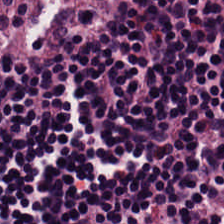Stain: hematoxylin and eosin.
Tissue class: lymphoid infiltrate.
